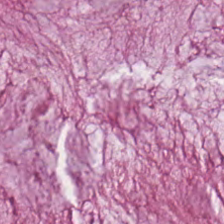Q: Classify this patch.
A: Extracellular mucin.
